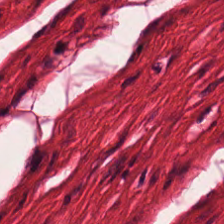H&E-stained tissue section.
This patch shows smooth-muscle tissue.
